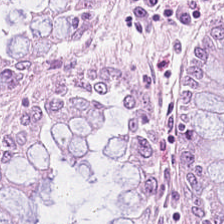Hematoxylin-and-eosin stained section.
{"tissue_type": "non-neoplastic colon mucosa"}
